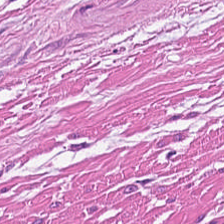224×224 px tile; H&E-stained tissue section — {"tissue_type": "muscularis"}
